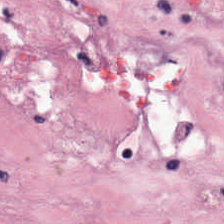The tissue here is cancer-associated stroma.
